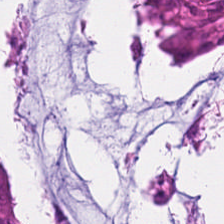H&E — The tissue is tumor epithelium.
